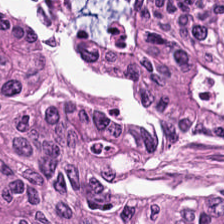H&E stain — Predominant tissue — malignant epithelium.
